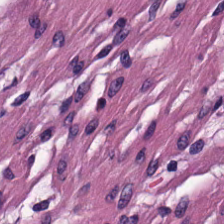FFPE tissue section. 224×224 px patch. Hematoxylin-and-eosin stained section. Predominantly smooth-muscle tissue.
